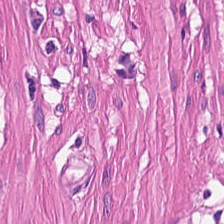0.5 µm/px; H&E.
The tissue here is muscularis.
